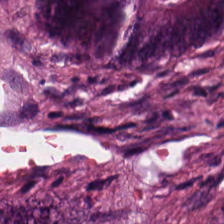Impression — adenocarcinoma.
